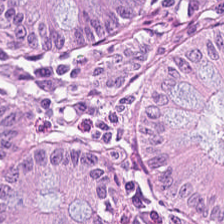H&E-stained tissue section. {"tissue_type": "normal colon mucosa"}
